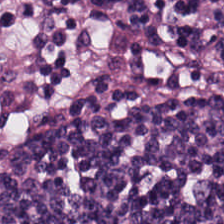Hematoxylin-and-eosin stained section — This patch shows lymphoid infiltrate.
